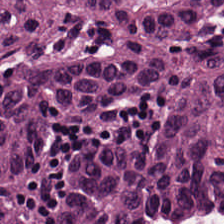Hematoxylin-and-eosin stained section — Q: What is the predominant tissue type?
A: Malignant epithelium.
